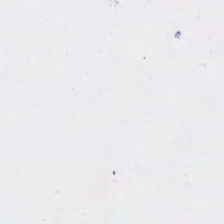Hematoxylin and eosin; 0.5 microns per pixel. This field is background (no tissue).
